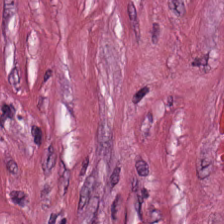Q: What tissue type is shown here?
A: The field shows cancer-associated stroma.
